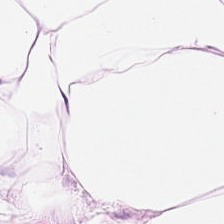Brightfield microscopy. 224×224 pixel tile. Hematoxylin and eosin.
The tissue here is adipose.
